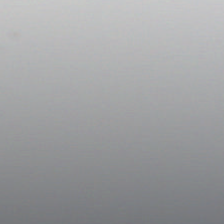Stain: H&E-stained tissue section.
Tile size: 224×224 pixel tile.
Resolution: 0.5 µm/px.
Field content: background (no tissue).
